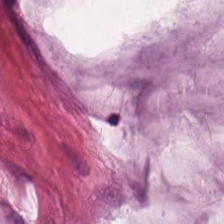224×224 px patch · H&E.
Predominantly extracellular mucin.
